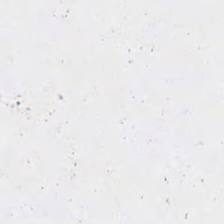Histology → background (no tissue).
